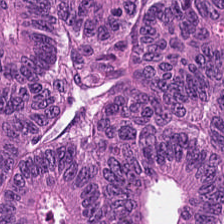H&E stain.
The classification is tumor epithelium.
